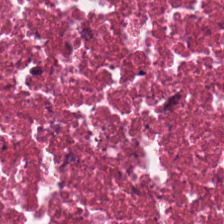H&E stain — The predominant tissue is necrotic debris.
